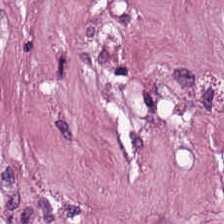This patch shows cancer-associated stroma.
